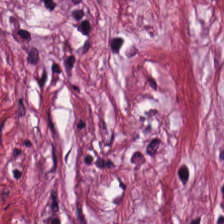H&E. The classification is cancer-associated stroma.
